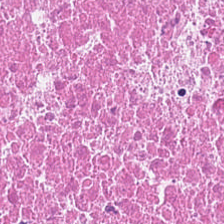H&E-stained tissue section. Classification = debris.
